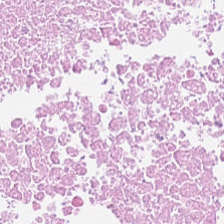Hematoxylin and eosin · brightfield microscopy — Necrotic debris.
